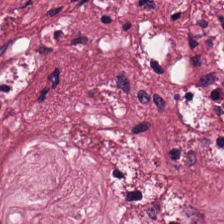H&E stain. 224×224 px patch.
Predominantly cancer-associated stroma.
